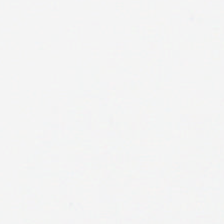Stain: H&E stain.
Resolution: 0.5 microns per pixel.
Classification: background (no tissue).
